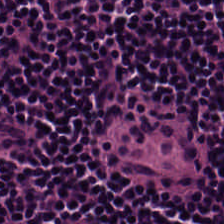FFPE · hematoxylin and eosin.
{"tissue_type": "lymphocyte aggregate"}
